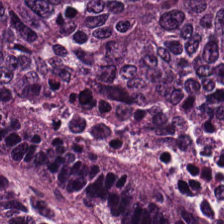224×224 px patch · hematoxylin-and-eosin stained section. Q: What is shown here?
A: It is tumor epithelium.
